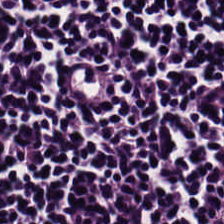Finding → lymphocyte aggregate.
